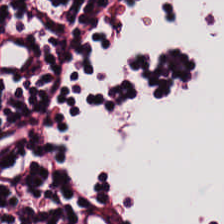Brightfield microscopy · formalin-fixed paraffin-embedded section · H&E.
The tissue type is lymphocytes.
